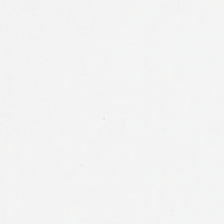Hematoxylin-and-eosin stained section — Classification — no tissue.
